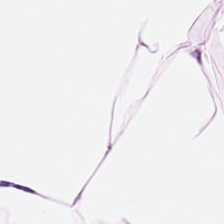Hematoxylin and eosin · FFPE.
Q: What is shown here?
A: The field shows adipose.
